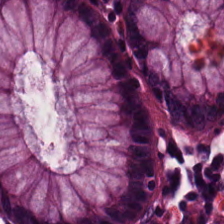Hematoxylin-and-eosin stained section.
Q: Classify this patch.
A: The field shows normal colon mucosa.
